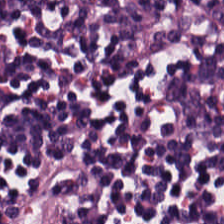224×224 px patch · 0.5 microns per pixel · hematoxylin and eosin.
This field is lymphocyte aggregate.
